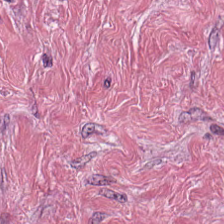H&E-stained tissue section — Impression — cancer-associated stroma.
